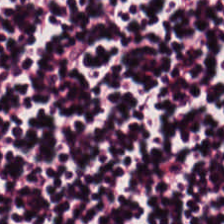Hematoxylin-and-eosin stained section. FFPE. This field is lymphocyte aggregate.
